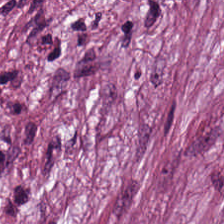Hematoxylin-and-eosin stained section — Tissue type: tumor stroma.
